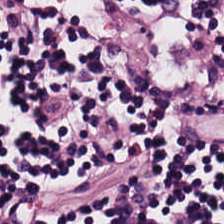Hematoxylin-and-eosin stained section · brightfield.
Classification: lymphocytic infiltrate.
